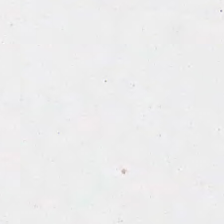H&E — Background.
